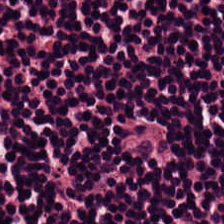H&E stain; FFPE tissue section. Tissue — lymphocytes.
